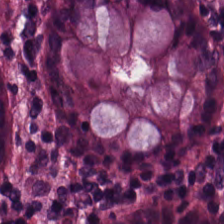H&E-stained section; the field shows normal colon mucosa.
